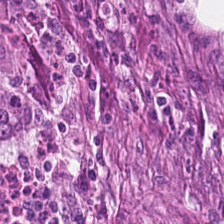H&E-stained tissue section · 224×224 px tile · 20× equivalent magnification. The tissue here is malignant epithelium.
